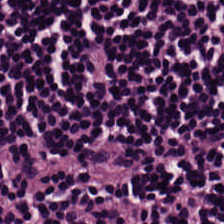H&E stain · WSI patch · 0.5 µm per pixel — Predominant tissue = lymphoid infiltrate.
